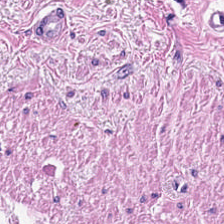Hematoxylin-and-eosin stained section. Q: What is the predominant tissue type?
A: It is smooth muscle.
